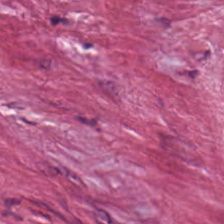224×224 px tile · WSI patch · hematoxylin and eosin — Showing cancer-associated stroma.
